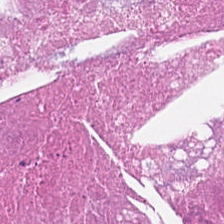Hematoxylin-and-eosin stained section.
Showing necrotic debris.
